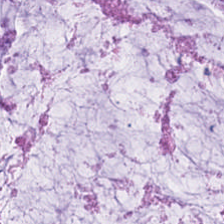H&E stain — Predominantly extracellular mucin.
